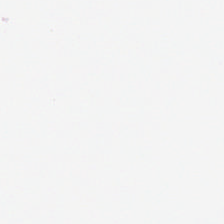Hematoxylin and eosin. Formalin-fixed paraffin-embedded section.
Field content: background.
